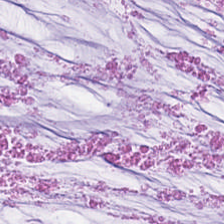Stain: hematoxylin-and-eosin stained section.
Predominant tissue: mucus.
